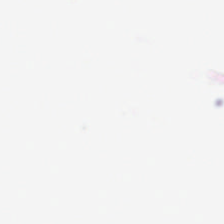H&E-stained tissue section. Q: Classify this patch.
A: It is background.
